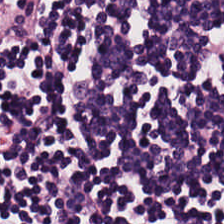Classification — lymphocytes.
